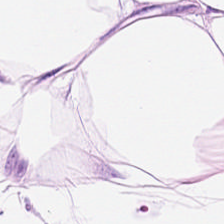H&E stain — Q: What is shown in this field?
A: The field shows adipose tissue.
